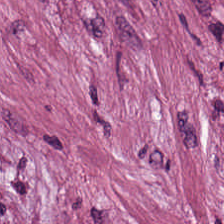H&E stain. The tissue type is cancer-associated stroma.
